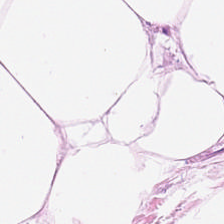Tissue class = adipocytes.
